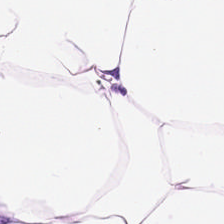0.5 µm/px. H&E-stained tissue section. Tissue class = adipocytes.
